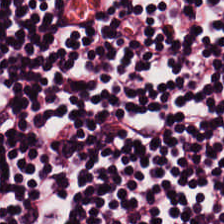H&E-stained tissue section; formalin-fixed paraffin-embedded section.
Finding → lymphocytic infiltrate.
